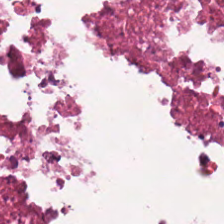Hematoxylin-and-eosin stained section.
Impression — debris.
